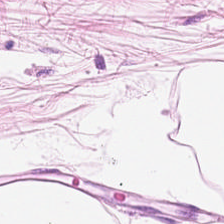H&E. Showing adipose tissue.
